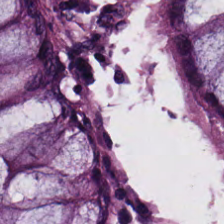Stain: H&E-stained tissue section.
Resolution: 0.5 µm per pixel.
Tile size: 224×224 px patch.
Tissue: non-neoplastic colon mucosa.
